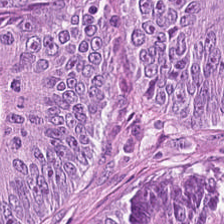224×224 px patch · hematoxylin and eosin. Predominant tissue: adenocarcinoma.
